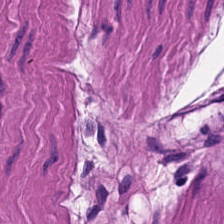Brightfield microscopy · hematoxylin and eosin.
Q: What tissue is shown?
A: The field shows smooth-muscle tissue.
